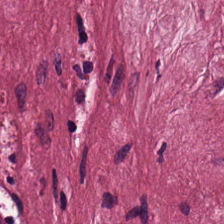H&E stain. 20× equivalent magnification — This patch shows desmoplastic stroma.
